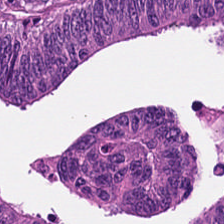Stain: H&E.
Tissue class: colorectal adenocarcinoma epithelium.
